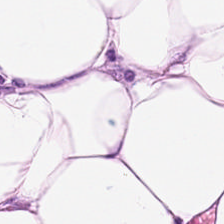Hematoxylin and eosin · 224×224 px patch — {"tissue_type": "adipocytes"}
